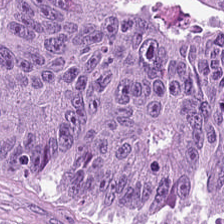H&E stain — The tissue class is malignant epithelium.
